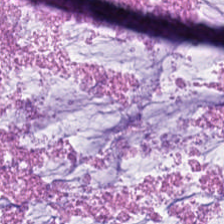FFPE tissue section · H&E-stained tissue section.
Tissue — mucin.
